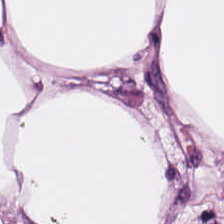Hematoxylin-and-eosin stained section. This patch shows adipose.
